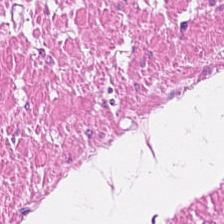Brightfield microscopy · 0.5 microns per pixel · H&E stain. The tissue is smooth muscle.
